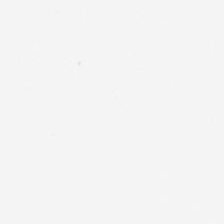Hematoxylin and eosin. 0.5 microns per pixel. WSI patch.
Impression → empty background.
